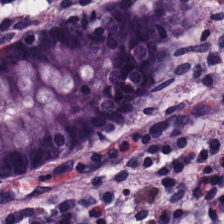Stain: H&E.
Tissue type: non-neoplastic colon mucosa.
